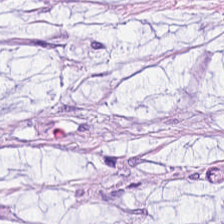Classification = extracellular mucin.
